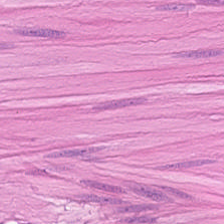Classification — muscularis.
